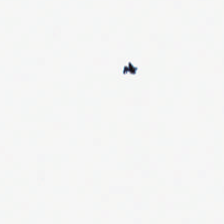H&E-stained tissue section · 0.5 µm/px.
Q: Classify this patch.
A: The field shows no tissue.
